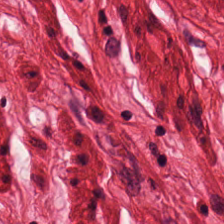Hematoxylin-and-eosin stained section. Q: Identify the tissue.
A: This is smooth-muscle tissue.
